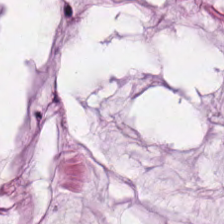Classification: mucus.
